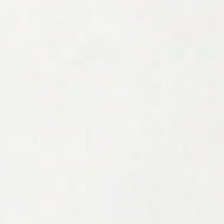H&E-stained tissue section. Empty field — empty background.
